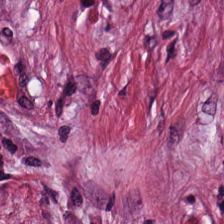H&E-stained tissue section showing tumor stroma.
